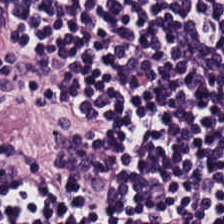The tissue class is lymphocytic infiltrate.
